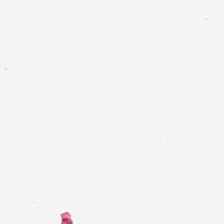Brightfield microscopy; H&E stain; 0.5 µm per pixel.
Field content = background.
